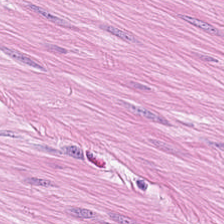WSI patch; H&E stain — Smooth-muscle tissue.
